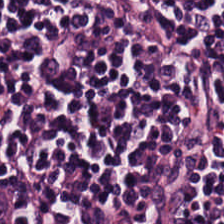Q: What does this patch show?
A: Lymphocyte aggregate.
